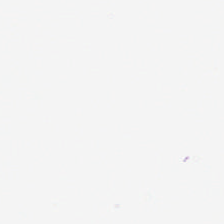H&E-stained tissue section — The field content is background (no tissue).
